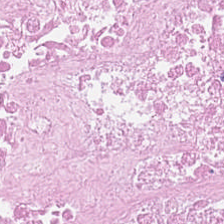H&E stain.
Showing cellular debris.
